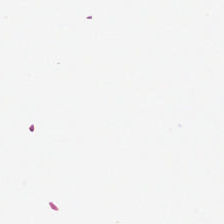No tissue present; background only.
